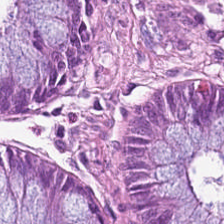Q: What is shown in this field?
A: This is normal colon mucosa.
